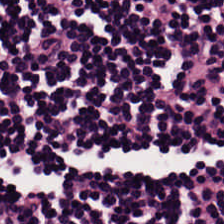Brightfield. Hematoxylin-and-eosin stained section.
Q: What does this patch show?
A: It is lymphocytes.
